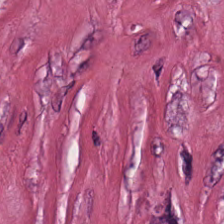H&E — This patch shows cancer-associated stroma.
